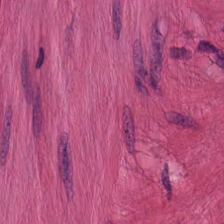H&E-stained tissue section. The tissue is smooth-muscle tissue.
